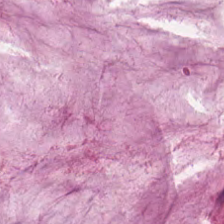224×224 px tile; hematoxylin-and-eosin stained section — Showing extracellular mucin.
